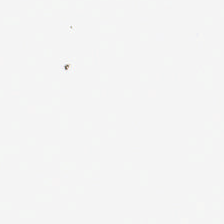H&E stain. 0.5 µm/px. Q: What is shown in this field?
A: Background (no tissue).
